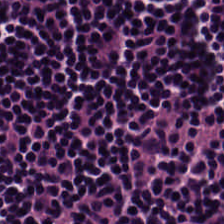H&E-stained tissue section.
Tissue type — lymphocytes.
